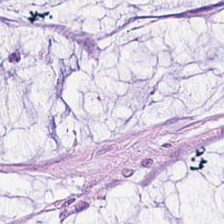H&E stain. Tissue class = mucus.
